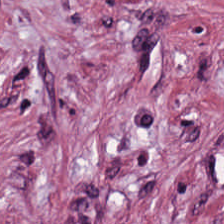20× equivalent magnification. Hematoxylin and eosin. Formalin-fixed paraffin-embedded section.
Cancer-associated stroma.
